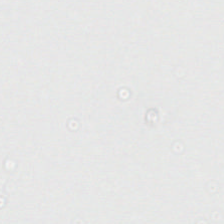Hematoxylin-and-eosin stained section — Empty background.
